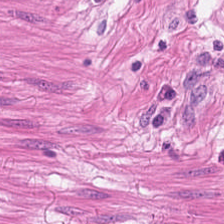Hematoxylin-and-eosin section: smooth muscle.
